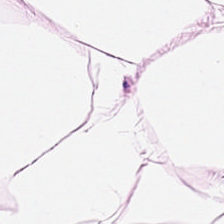H&E-stained tissue section; 224×224 pixel tile; FFPE tissue section. This field is adipose.
